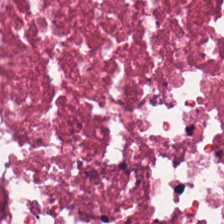Hematoxylin and eosin.
Impression — debris.
